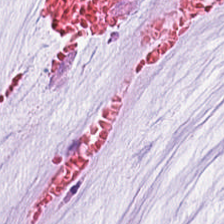Q: What does this patch show?
A: Mucin.
